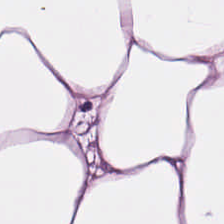The tissue is fat tissue.
